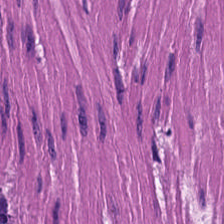Stain: hematoxylin-and-eosin stained section.
Tissue type: smooth muscle.
